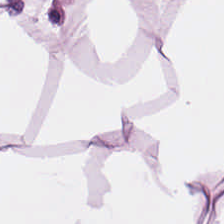H&E stain. 0.5 µm/px — The tissue here is adipose.
